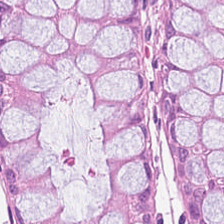H&E · 224×224 px tile — Tissue class — normal colonic mucosa.
